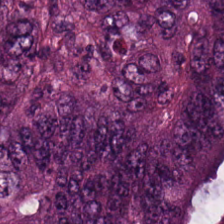Hematoxylin-and-eosin stained section — Finding → malignant epithelium.
